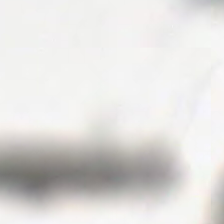Stain: hematoxylin and eosin.
Field content: background (no tissue).
